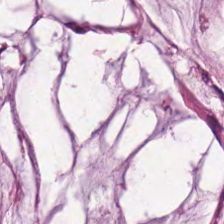0.5 microns per pixel. H&E-stained tissue section.
Predominantly mucin.
